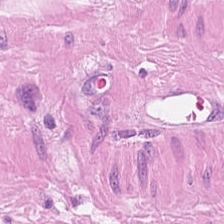H&E-stained tissue section. Brightfield. Histology → smooth muscle.
